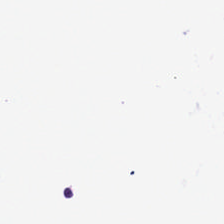Brightfield microscopy; FFPE tissue section; hematoxylin and eosin. This field is background (no tissue).
